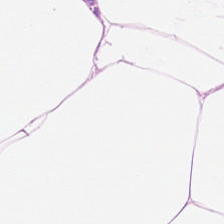Q: What type of tissue is this?
A: This is fat tissue.
